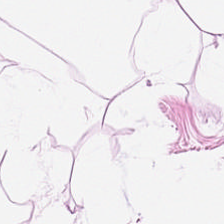H&E — Finding → adipose.
